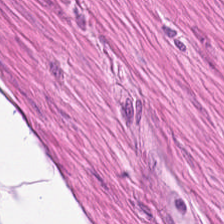Brightfield microscopy. H&E-stained tissue section — Predominantly smooth muscle.
